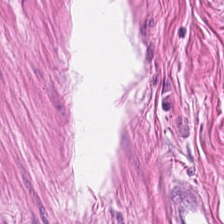H&E-stained section; the field shows smooth-muscle tissue.
